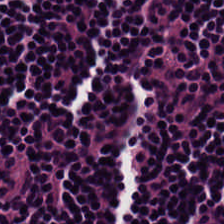FFPE; hematoxylin-and-eosin stained section — Finding → lymphocytes.
